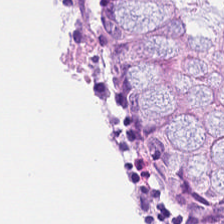Stain: H&E-stained tissue section.
Tile size: 224×224 pixel tile.
Preparation: FFPE.
Tissue: benign colonic mucosa.
